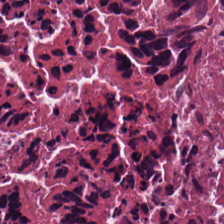Stain: H&E.
Tissue type: cellular debris.
